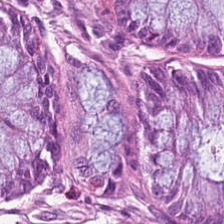Showing normal colonic mucosa.
